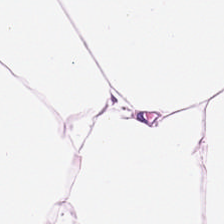Hematoxylin and eosin.
Tissue type: adipose tissue.
